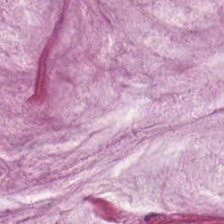Stain: hematoxylin and eosin.
Predominant tissue: mucus.
